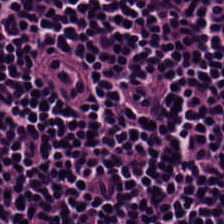H&E-stained tissue section.
This field is lymphocytes.
